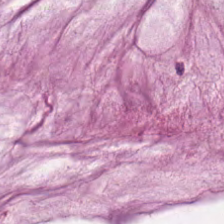H&E — Finding → mucus.
